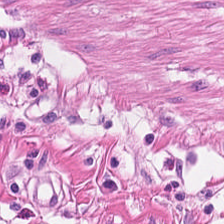H&E stain; 224×224 px tile — Tissue type = muscularis.
